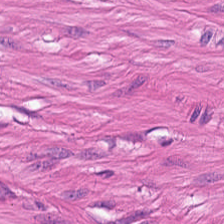H&E stain. Q: What is shown in this field?
A: The field shows smooth muscle.
